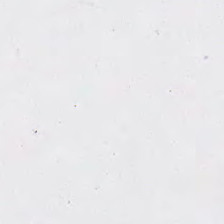H&E-stained tissue section. 0.5 µm per pixel — Finding → no tissue.
